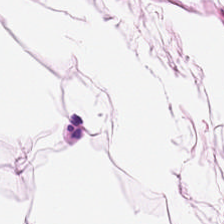H&E.
The tissue class is fat tissue.
